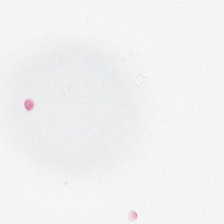Hematoxylin-and-eosin stained section — Content = background.
